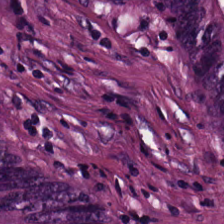H&E stain · whole-slide-image patch. Tissue class — colorectal adenocarcinoma.
